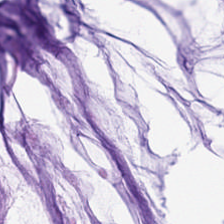20× equivalent magnification. 224×224 pixel tile. H&E-stained tissue section. Predominant tissue = extracellular mucin.
